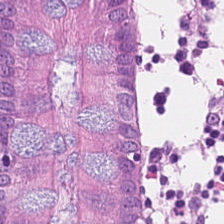Hematoxylin and eosin — Tissue type = non-neoplastic colon mucosa.
